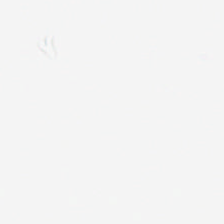Field content: background (no tissue).
